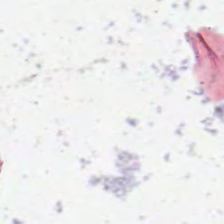Hematoxylin-and-eosin stained section · FFPE tissue section.
Field content: background (no tissue).
